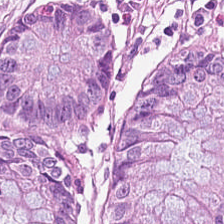Classification — normal colonic mucosa.
